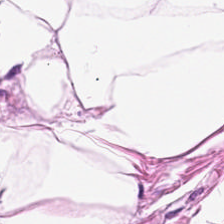Whole-slide-image patch; H&E-stained tissue section — The predominant tissue is adipocytes.
